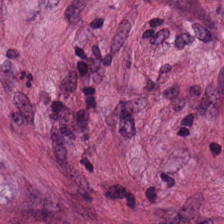224×224 px tile · H&E · 0.5 µm/px. Tissue — tumor stroma.
